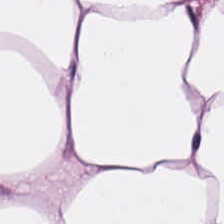H&E-stained tissue section. Tissue class: adipose tissue.
